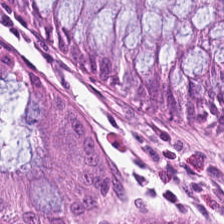H&E-stained tissue section. Q: What tissue is shown?
A: The field shows normal colonic mucosa.
